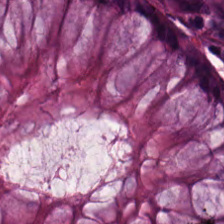Histology → normal colonic mucosa.
